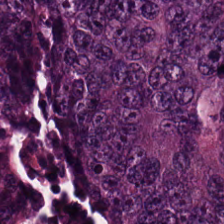Hematoxylin and eosin — Finding — adenocarcinoma.
